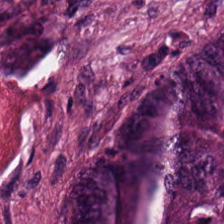Formalin-fixed paraffin-embedded section; H&E; 0.5 µm per pixel.
The classification is malignant epithelium.
